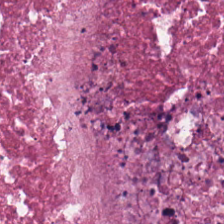FFPE tissue section. 224×224 px tile. H&E-stained tissue section. Classification = debris.
